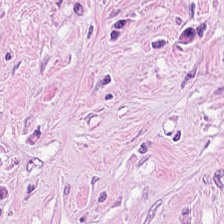H&E — Histology — tumor stroma.
